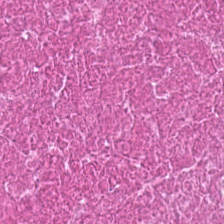0.5 µm per pixel; H&E. The tissue here is cellular debris.
